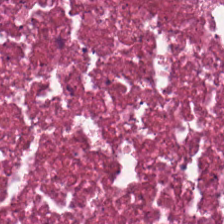Whole-slide-image patch · H&E stain.
This field is debris.
